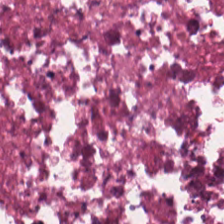20× equivalent magnification · H&E stain.
This patch shows cellular debris.
